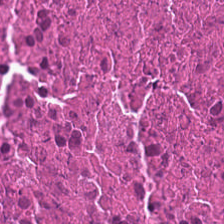H&E stain. Showing cellular debris.
